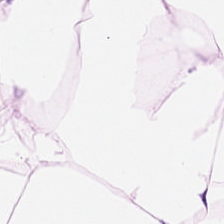H&E; formalin-fixed paraffin-embedded section — The predominant tissue is adipose.
